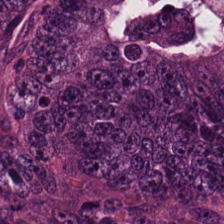WSI patch · hematoxylin-and-eosin stained section · 0.5 µm/px.
Predominantly colorectal adenocarcinoma epithelium.
